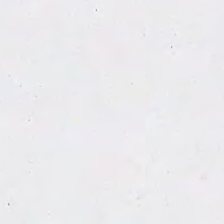This patch shows no tissue.
